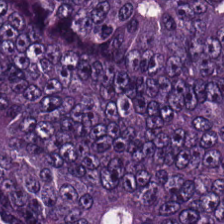224×224 pixel tile. 0.5 microns per pixel. H&E-stained tissue section.
Q: What is shown in this field?
A: The field shows colorectal adenocarcinoma epithelium.
